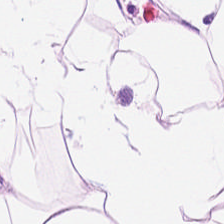224×224 pixel tile; H&E. Impression → adipose.
